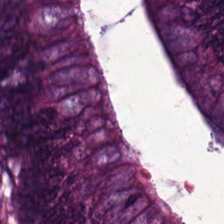0.5 µm per pixel · H&E.
Malignant epithelium.
